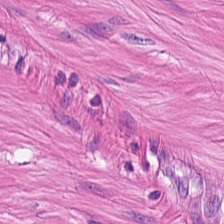H&E stain. 224×224 pixel tile — Muscularis.
